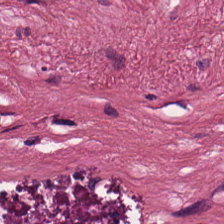Hematoxylin-and-eosin stained section — Impression — tumor-associated stroma.
